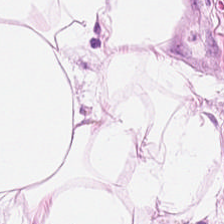H&E-stained tissue section. Showing adipose tissue.
